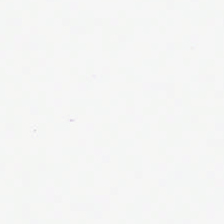FFPE tissue section. H&E stain.
This patch shows background (no tissue).
